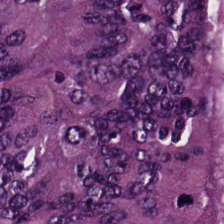FFPE tissue section; H&E; 224×224 px tile. This patch shows colorectal adenocarcinoma.
